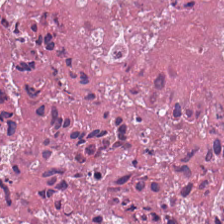Tissue class: cellular debris.
